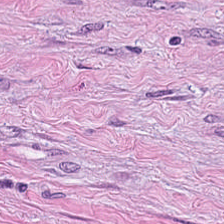224×224 px patch; H&E — The tissue type is tumor-associated stroma.
